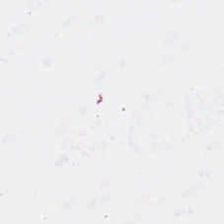Classification = empty background.
